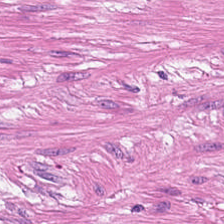H&E-stained tissue section showing muscularis.
